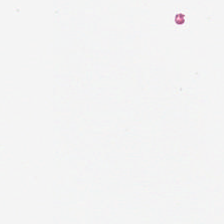{"content": "no tissue"}
